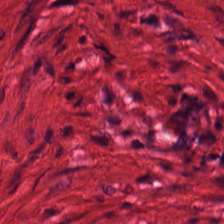This field is smooth muscle.
